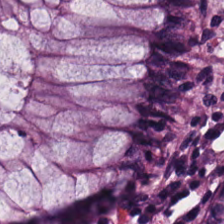H&E-stained tissue section — Showing normal colon mucosa.
